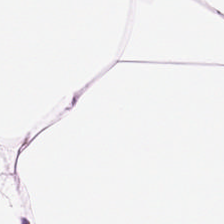H&E stain. 0.5 microns per pixel.
Tissue class: fat tissue.
